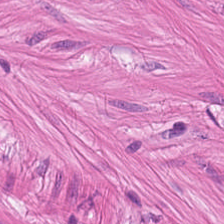Stain: H&E.
Acquisition: whole-slide-image patch.
Resolution: 20× equivalent magnification.
Classification: smooth muscle.
